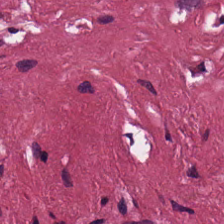Tissue type — tumor stroma.
